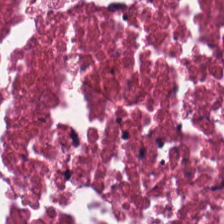Hematoxylin and eosin; 224×224 px tile.
Q: What tissue is shown?
A: The field shows cellular debris.
